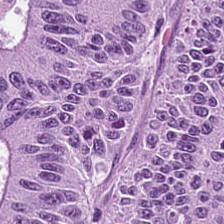Hematoxylin-and-eosin section: colorectal adenocarcinoma epithelium.
